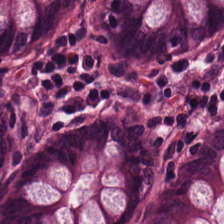Stain: H&E-stained tissue section.
Predominant tissue: normal colon mucosa.
